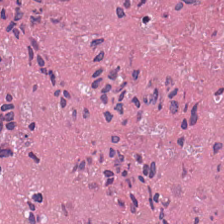Formalin-fixed paraffin-embedded section · H&E · 0.5 µm/px — Q: What tissue type is shown here?
A: The field shows debris.
